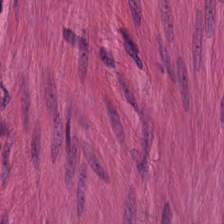Stain: H&E.
Tissue type: smooth muscle.
